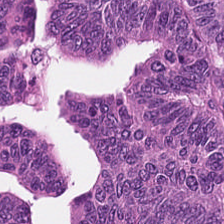H&E-stained tissue section. Q: What tissue is shown?
A: This is colorectal adenocarcinoma.
